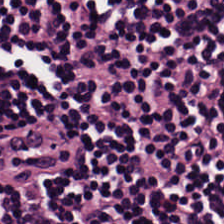H&E stain. Lymphoid infiltrate.
